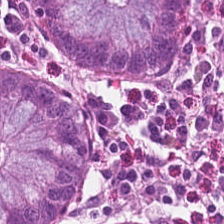FFPE tissue section. Hematoxylin-and-eosin stained section. Histology → normal colonic mucosa.
